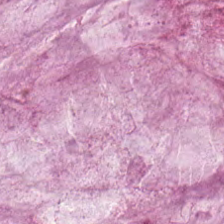Formalin-fixed paraffin-embedded section; H&E-stained tissue section — Q: What is the predominant tissue type?
A: The field shows mucin.
